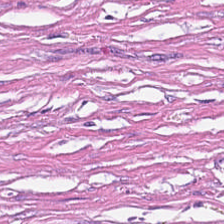H&E stain.
Q: What is shown in this field?
A: It is tumor stroma.
